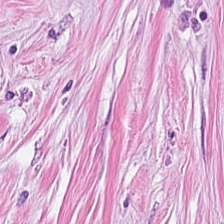H&E-stained tissue section · 20× equivalent magnification.
This patch shows cancer-associated stroma.
